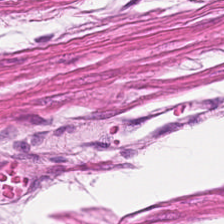H&E-stained tissue section. The predominant tissue is smooth muscle.
